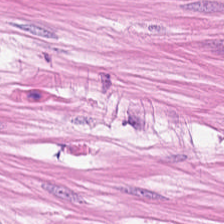Q: What does this patch show?
A: It is smooth muscle.
